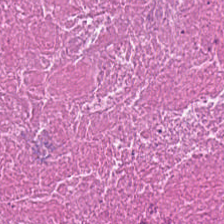Hematoxylin-and-eosin stained section — Q: What is shown in this field?
A: This is cellular debris.
